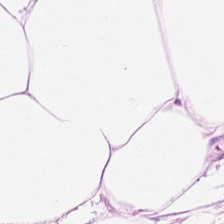Finding → adipose.
